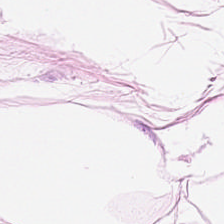Tissue type — fat tissue.
